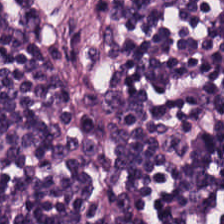Stain: hematoxylin and eosin.
Tissue type: lymphoid infiltrate.
